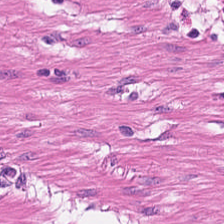FFPE; 224×224 px patch; H&E.
Histology → smooth muscle.
